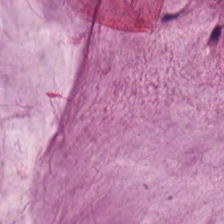Hematoxylin and eosin. The predominant tissue is mucin.
